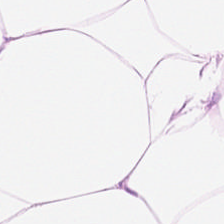H&E-stained tissue section — Finding — adipocytes.
